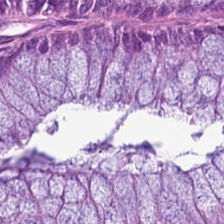The tissue here is non-neoplastic colon mucosa.
